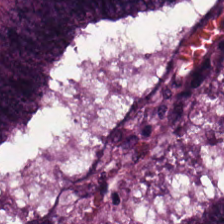224×224 px tile · hematoxylin-and-eosin stained section · formalin-fixed paraffin-embedded section — This field is adenocarcinoma.
